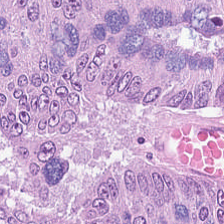H&E-stained tissue section.
{"tissue_type": "tumor epithelium"}
